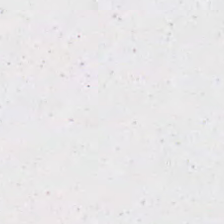H&E.
Field content = background.
